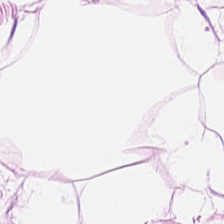Q: What tissue is shown?
A: This is adipose tissue.
